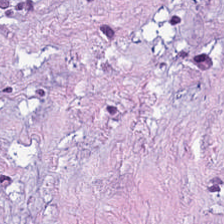H&E.
Impression — cancer-associated stroma.
